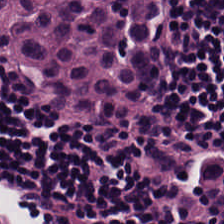Hematoxylin and eosin. Classification: lymphocyte aggregate.
